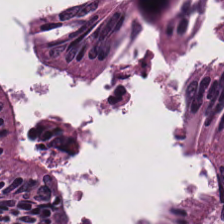Hematoxylin and eosin.
Q: What tissue is shown?
A: The field shows colorectal adenocarcinoma.
